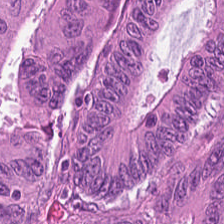Brightfield; hematoxylin and eosin; 0.5 µm/px.
Tissue type = adenocarcinoma.
